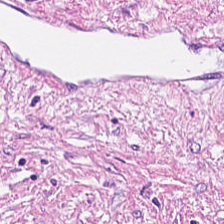H&E stain; FFPE; whole-slide-image patch. This field is tumor stroma.
